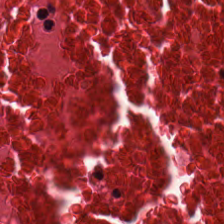H&E stain.
This field is debris.
